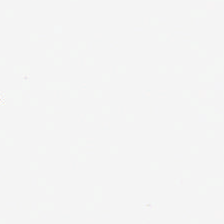Q: What is shown here?
A: The field shows background.
